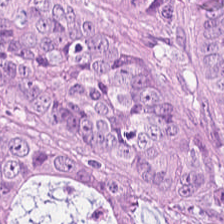Stain: H&E.
Tile size: 224×224 px patch.
Predominant tissue: tumor epithelium.
